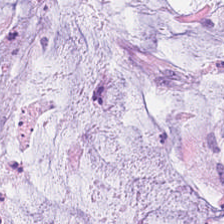H&E stain.
Showing extracellular mucin.
